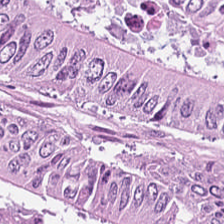The classification is colorectal adenocarcinoma.
